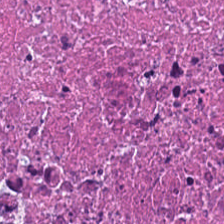Hematoxylin and eosin — Histology — necrotic debris.
